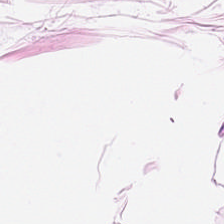H&E stain; FFPE tissue section; 224×224 pixel tile — Q: What is shown in this field?
A: It is fat tissue.
